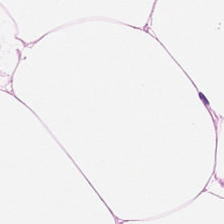Hematoxylin-and-eosin stained section — {"tissue_type": "adipocytes"}
